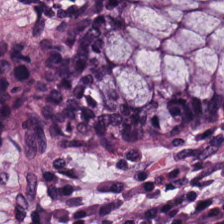Hematoxylin-and-eosin stained section.
Tissue class = benign colonic mucosa.
